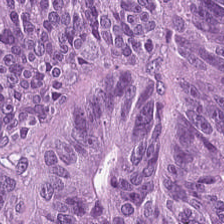H&E stain — Tissue: tumor epithelium.
